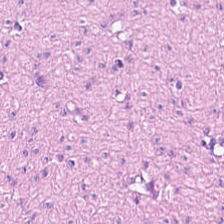Tissue class = smooth-muscle tissue.
